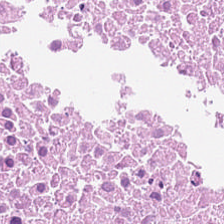H&E stain · 20× equivalent magnification.
Debris.
